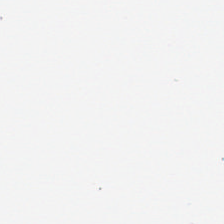H&E stain. Classification = no tissue.
